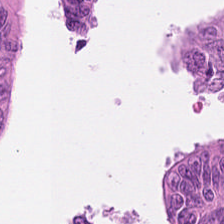Stain: H&E stain.
Classification: tumor epithelium.
